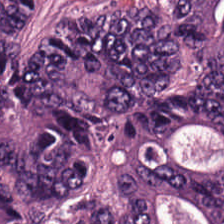0.5 µm/px. Hematoxylin and eosin — The tissue here is adenocarcinoma.
